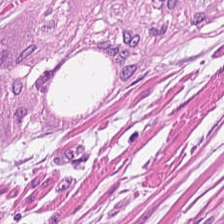H&E · 0.5 µm/px · WSI patch. This field is smooth muscle.
